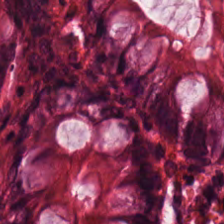H&E; 224×224 px tile.
Tissue type: normal colon mucosa.
